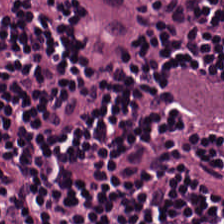H&E. Lymphocytes.
